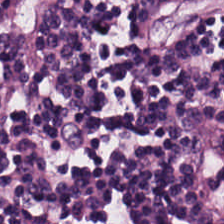H&E stain.
Showing lymphocytes.
